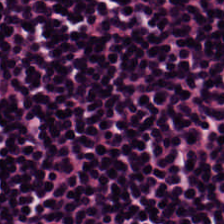Whole-slide-image patch · H&E. Showing lymphocytic infiltrate.
